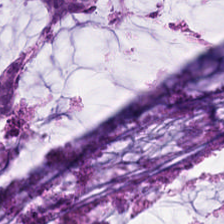Hematoxylin-and-eosin stained section. Q: What tissue is shown?
A: Mucus.
